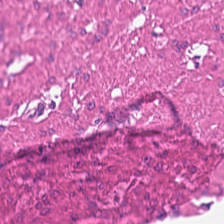H&E stain. WSI patch. 20× equivalent magnification.
Predominant tissue: muscularis.
